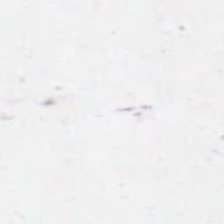Q: What is shown in this field?
A: The field shows background (no tissue).
